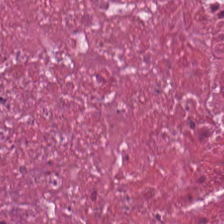Stain: H&E.
Tissue class: debris.
